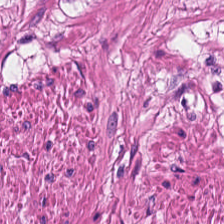H&E; whole-slide-image patch. Tissue type — smooth muscle.
